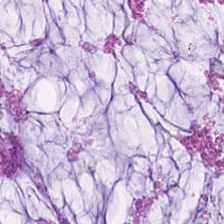224×224 pixel tile. Hematoxylin and eosin. FFPE — The predominant tissue is mucus.
